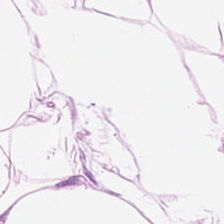0.5 µm per pixel · H&E · FFPE.
Histology — adipose.
